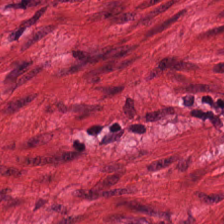H&E.
Smooth-muscle tissue.
